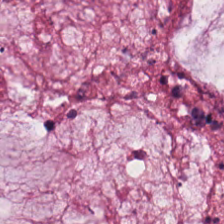224×224 px tile; H&E-stained tissue section. {"tissue_type": "extracellular mucin"}
